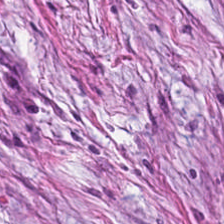Stain: H&E-stained tissue section.
Tissue: cancer-associated stroma.
